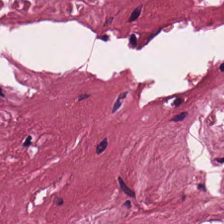The tissue is desmoplastic stroma.
